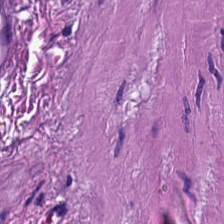Finding → smooth-muscle tissue.
